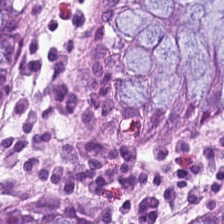H&E-stained tissue section — Q: What tissue type is shown here?
A: It is benign colonic mucosa.
